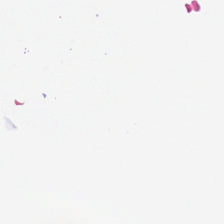FFPE · H&E · whole-slide-image patch.
This patch shows background.
